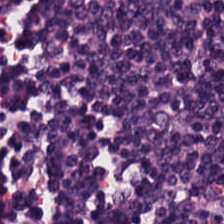H&E stain — Predominantly lymphoid infiltrate.
